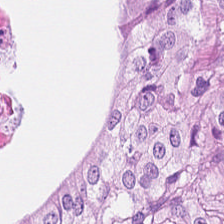H&E-stained tissue section; 224×224 px tile. Q: What tissue is shown?
A: It is colorectal adenocarcinoma.
